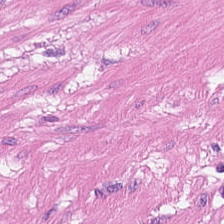H&E. 20× equivalent magnification. Q: Classify this patch.
A: The field shows smooth-muscle tissue.
